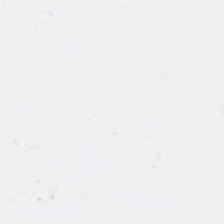Hematoxylin and eosin — Q: What is shown in this field?
A: This is background.
